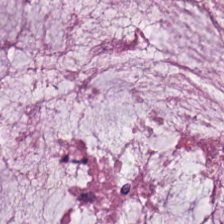Q: What is the predominant tissue type?
A: The field shows mucin.
